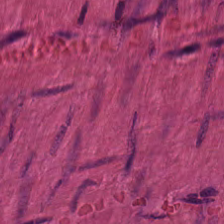H&E-stained tissue section — {"tissue_type": "smooth muscle"}
